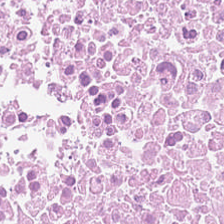224×224 px patch; H&E stain; 0.5 microns per pixel. Tissue — necrotic debris.
